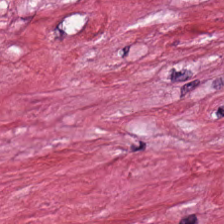H&E-stained tissue section — This field is tumor stroma.
